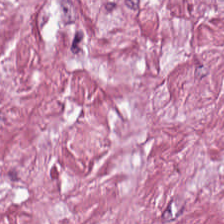Stain: H&E.
Predominant tissue: tumor-associated stroma.
